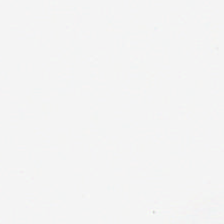H&E-stained tissue section — Q: What is shown in this field?
A: The field shows background.
